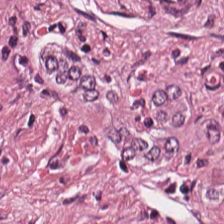Hematoxylin-and-eosin stained section; 224×224 pixel tile; whole-slide-image patch — Tumor-associated stroma.
